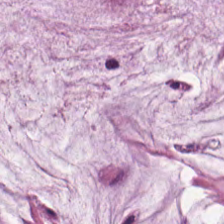H&E-stained tissue section.
Classification = extracellular mucin.
